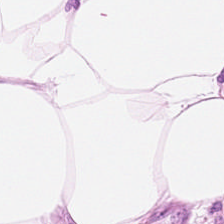H&E-stained tissue section. Predominant tissue = adipocytes.
